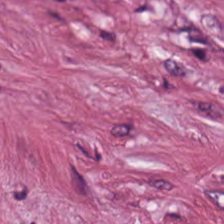224×224 px tile · FFPE tissue section · H&E stain.
{"tissue_type": "cancer-associated stroma"}
